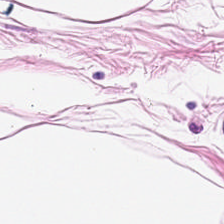H&E-stained tissue section · formalin-fixed paraffin-embedded section. Classification: fat tissue.
